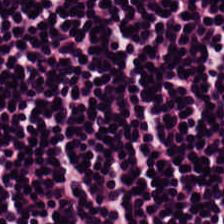{"tissue_type": "lymphoid infiltrate"}
